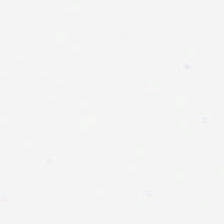Hematoxylin and eosin. This patch shows background.
